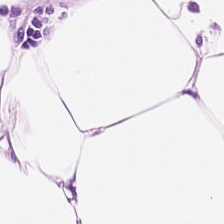H&E stain.
The classification is adipocytes.
